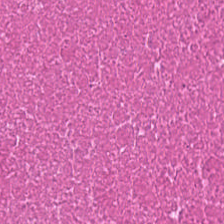H&E stain.
Showing necrotic debris.
